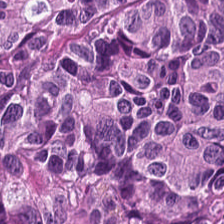H&E · WSI patch — Predominantly tumor epithelium.
